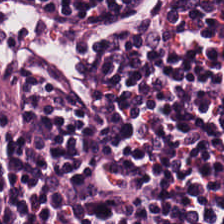Hematoxylin-and-eosin stained section.
This patch shows lymphoid infiltrate.
